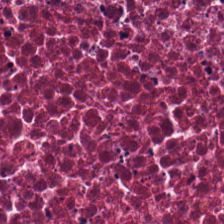224×224 pixel tile. H&E-stained tissue section. Tissue — necrotic debris.
